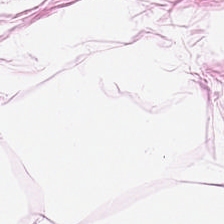Stain: hematoxylin-and-eosin stained section.
Resolution: 0.5 microns per pixel.
Tissue class: adipose tissue.
